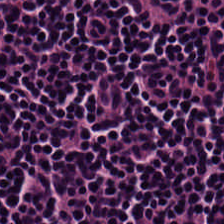Tissue type = lymphoid infiltrate.
